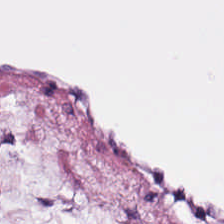WSI patch; H&E stain. This patch shows adipocytes.
